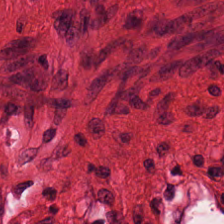H&E stain.
Tissue type = smooth-muscle tissue.
